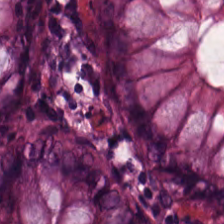Hematoxylin-and-eosin stained section — This field is benign colonic mucosa.
